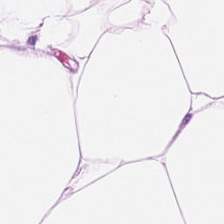Hematoxylin and eosin — This patch shows adipose.
